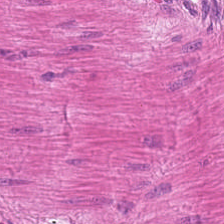Formalin-fixed paraffin-embedded section. Hematoxylin-and-eosin stained section. Finding — muscularis.
